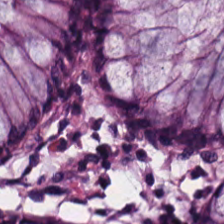H&E.
Q: What tissue is shown?
A: This is non-neoplastic colon mucosa.
